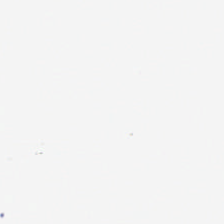0.5 µm per pixel · hematoxylin-and-eosin stained section. Background — no tissue in this field.
